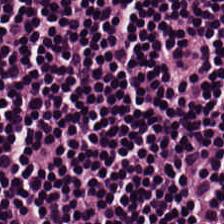Hematoxylin and eosin — {"tissue_type": "lymphocytes"}
